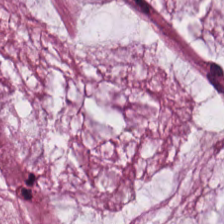0.5 microns per pixel · H&E stain — This field is extracellular mucin.
